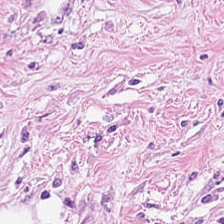H&E — desmoplastic stroma.
